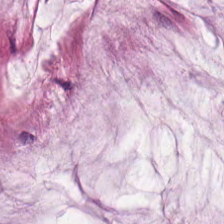Hematoxylin-and-eosin stained section. Impression — mucin.
